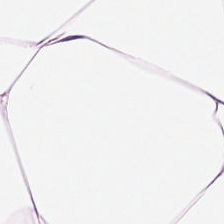H&E-stained tissue section. Q: What tissue type is shown here?
A: This is adipocytes.
